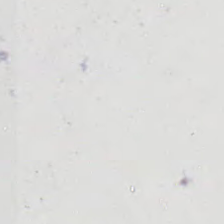Q: Classify this patch.
A: The field shows no tissue.
